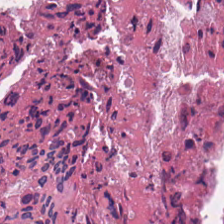Formalin-fixed paraffin-embedded section · hematoxylin-and-eosin stained section · 0.5 microns per pixel — Q: What type of tissue is this?
A: This is debris.
